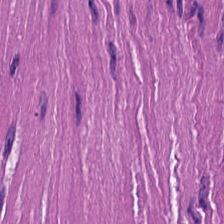Smooth-muscle tissue.
